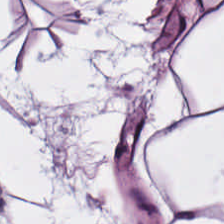WSI patch. H&E stain. FFPE tissue section. The tissue here is adipose.
